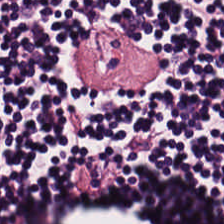Hematoxylin and eosin — Q: What tissue type is shown here?
A: This is lymphocytic infiltrate.
